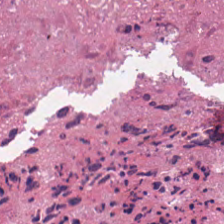H&E-stained tissue section. The classification is cellular debris.
